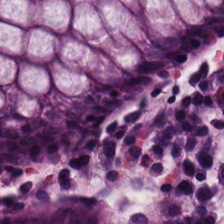Stain: H&E.
Tile size: 224×224 pixel tile.
Resolution: 20× equivalent magnification.
Predominant tissue: normal colonic mucosa.
